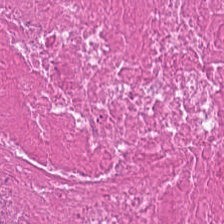Predominantly necrotic debris.
